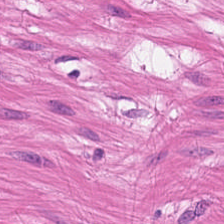Brightfield microscopy · hematoxylin and eosin · 0.5 µm/px.
Q: What tissue is shown?
A: The field shows muscularis.
